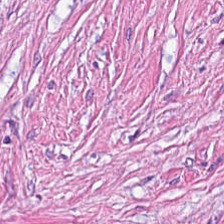Hematoxylin-and-eosin stained section.
Tissue type: tumor stroma.
